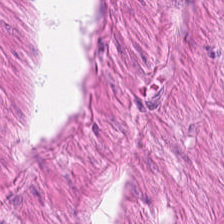H&E; brightfield microscopy — Q: What tissue is shown?
A: It is muscularis.
